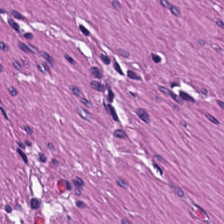Stain: H&E.
Tissue class: smooth-muscle tissue.
